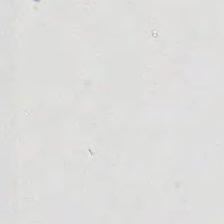Impression — background (no tissue).
